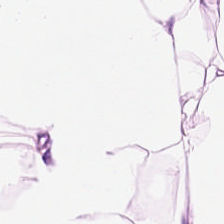H&E-stained section; the field shows adipose.
